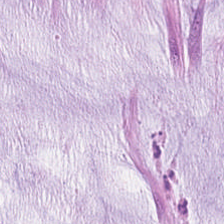224×224 px patch · FFPE · hematoxylin and eosin. Predominantly mucin.
